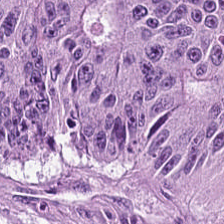Hematoxylin and eosin — Predominantly colorectal adenocarcinoma.
